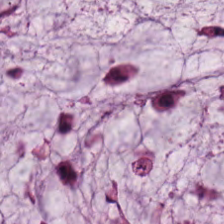Hematoxylin-and-eosin stained section. Tissue class — mucin.
